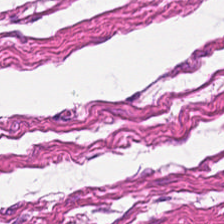H&E stain. Q: What does this patch show?
A: The field shows muscularis.
